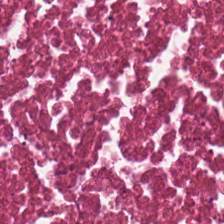H&E-stained section; the field shows necrotic debris.
